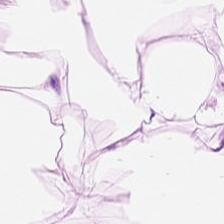Classification — fat tissue.
